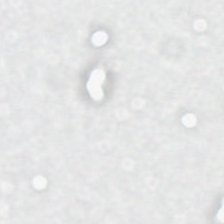Hematoxylin and eosin · brightfield · FFPE tissue section. Q: What is shown here?
A: This is no tissue.
